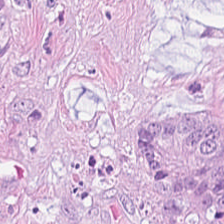H&E stain — The tissue here is colorectal adenocarcinoma.
